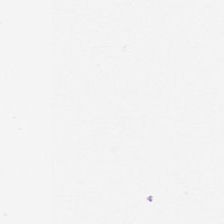Hematoxylin and eosin — This field is background (no tissue).
